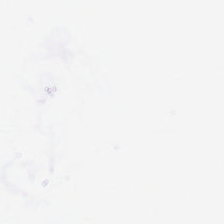0.5 µm per pixel · formalin-fixed paraffin-embedded section · hematoxylin-and-eosin stained section — This field is background (no tissue).
